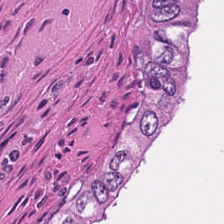224×224 px tile. Formalin-fixed paraffin-embedded section. H&E stain. This patch shows debris.
